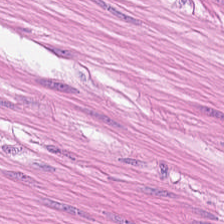H&E-stained tissue section showing muscularis.
